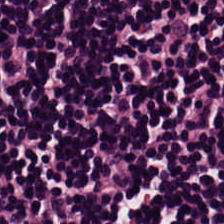0.5 µm/px; H&E stain. Tissue type = lymphocytic infiltrate.
